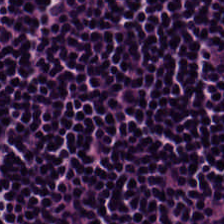0.5 microns per pixel; H&E-stained tissue section.
The tissue here is lymphocytic infiltrate.
